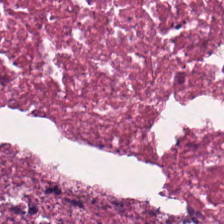224×224 px patch; hematoxylin and eosin — Impression → necrotic debris.
